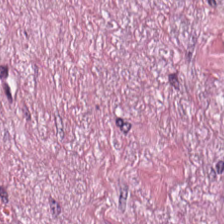Hematoxylin-and-eosin stained section — This field is tumor-associated stroma.
